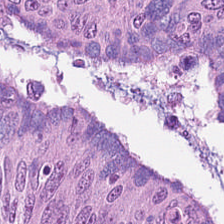H&E patch showing tumor epithelium.
